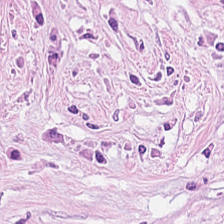H&E-stained section; the field shows tumor-associated stroma.
